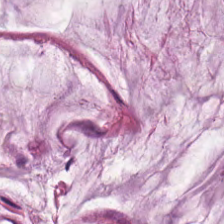H&E.
This patch shows mucus.
